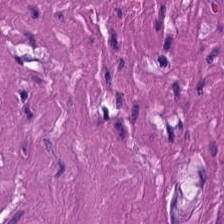Hematoxylin and eosin — Predominant tissue = smooth muscle.
